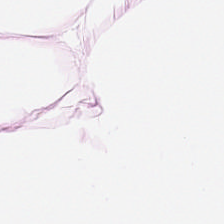Hematoxylin-and-eosin stained section; whole-slide-image patch.
The tissue here is adipose.
